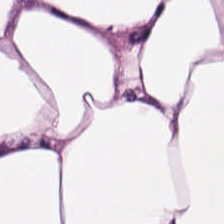The tissue here is adipose.
